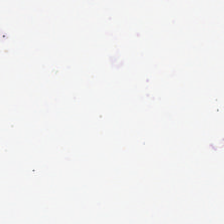The content is background.
